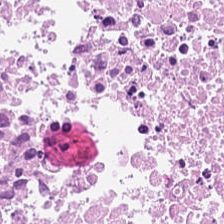H&E — Predominant tissue: necrotic debris.
